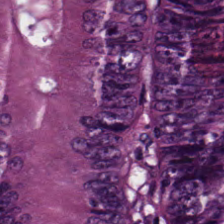Hematoxylin-and-eosin stained section. Q: What does this patch show?
A: Malignant epithelium.
